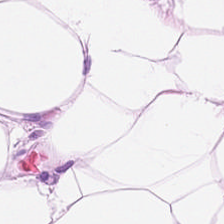Classification = adipocytes.
